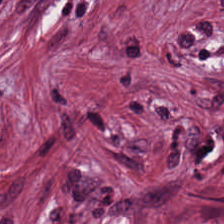H&E-stained tissue section showing tumor stroma.
